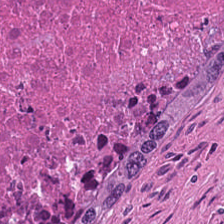H&E stain. Finding — debris.
